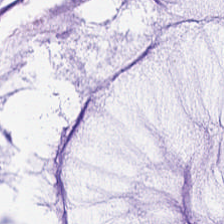Impression — extracellular mucin.
